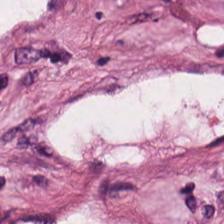224×224 pixel tile · H&E-stained tissue section — This patch shows tumor stroma.
